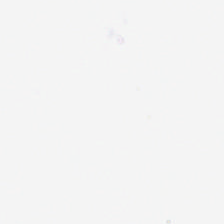224×224 pixel tile. H&E-stained tissue section.
Q: What does this patch show?
A: The field shows background.
